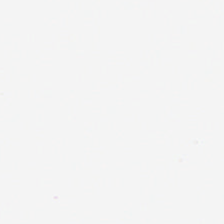H&E-stained tissue section. Field content: background (no tissue).
